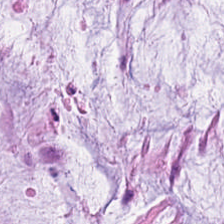Predominant tissue: mucus.
